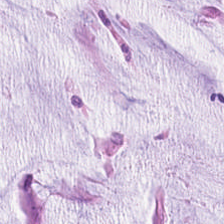Whole-slide-image patch; hematoxylin and eosin — The tissue type is extracellular mucin.
